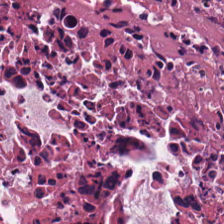Hematoxylin-and-eosin stained section; 224×224 px patch.
The tissue is cellular debris.
